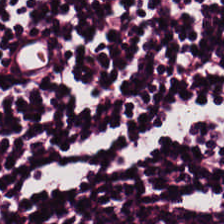Stain: hematoxylin and eosin.
Tissue: lymphocytes.
